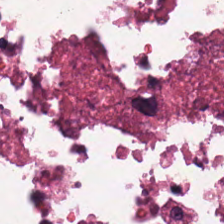H&E stain · FFPE tissue section.
This patch shows necrotic debris.
